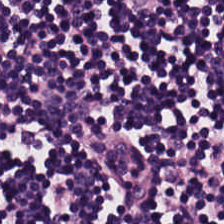Hematoxylin and eosin — Classification — lymphocytes.
